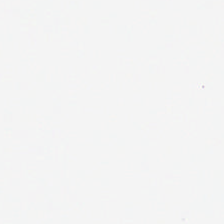224×224 px tile. Hematoxylin and eosin. Brightfield microscopy — Classification — empty background.
